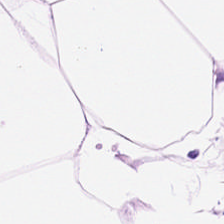Stain: hematoxylin-and-eosin stained section.
Tissue type: adipose tissue.
